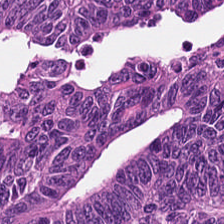Hematoxylin-and-eosin stained section.
Impression — malignant epithelium.
